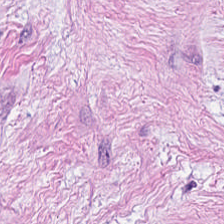Stain: hematoxylin and eosin.
Acquisition: brightfield microscopy.
Tile size: 224×224 pixel tile.
Classification: desmoplastic stroma.
